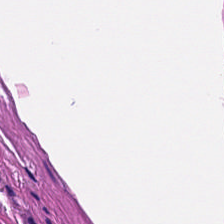Hematoxylin-and-eosin stained section. This patch shows muscularis.
